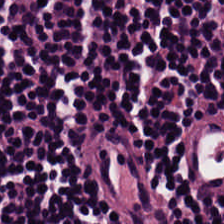H&E-stained tissue section. The tissue type is lymphocytic infiltrate.
